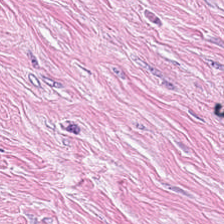Impression → tumor stroma.
